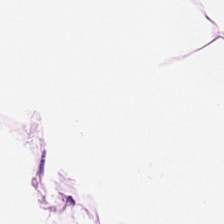0.5 microns per pixel. Hematoxylin-and-eosin stained section. FFPE.
Tissue class = fat tissue.
